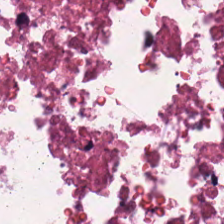0.5 µm/px; hematoxylin and eosin. The tissue here is cellular debris.
